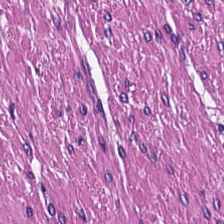Whole-slide-image patch · hematoxylin and eosin.
Showing smooth-muscle tissue.
